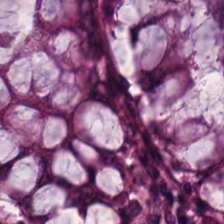H&E. Impression — benign colonic mucosa.
